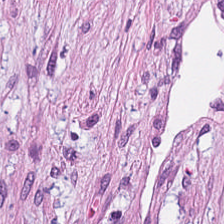FFPE tissue section · H&E stain — Histology → tumor stroma.
